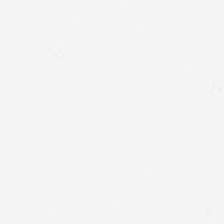Impression — no tissue.
